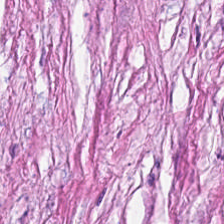Stain: H&E stain.
Classification: tumor-associated stroma.
